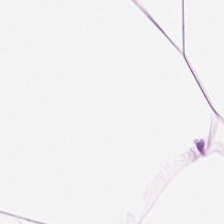H&E-stained tissue section. Q: What is shown here?
A: Adipose.
